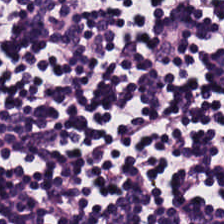Stain: H&E.
Acquisition: whole-slide-image patch.
Tissue type: lymphocytes.
